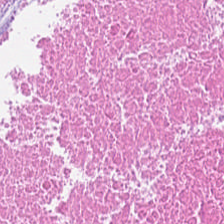Hematoxylin-and-eosin stained section. Showing necrotic debris.
